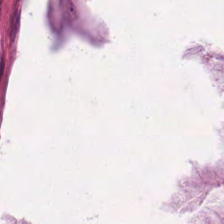H&E · formalin-fixed paraffin-embedded section · 224×224 pixel tile.
Predominantly mucus.
